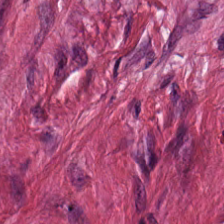H&E-stained section; the field shows tumor-associated stroma.
